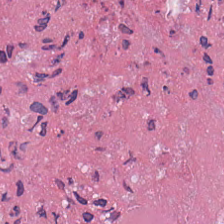H&E. Histology — necrotic debris.
